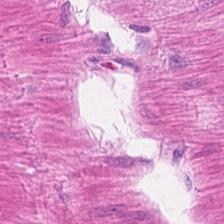Stain: H&E stain.
Predominant tissue: muscularis.
